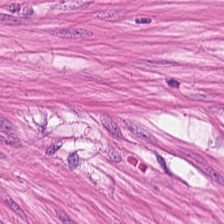FFPE tissue section; hematoxylin and eosin — Tissue type = muscularis.
